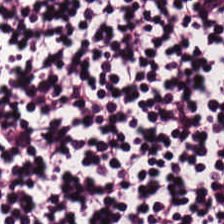H&E stain. 20× equivalent magnification.
{"tissue_type": "lymphocytes"}
